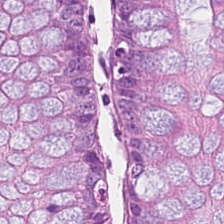H&E stain — This field is benign colonic mucosa.
